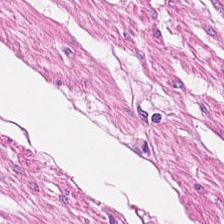H&E-stained tissue section showing smooth muscle.
